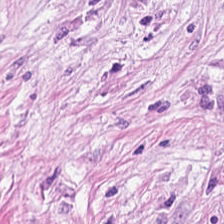H&E.
Cancer-associated stroma.
